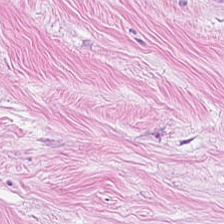Stain: hematoxylin-and-eosin stained section.
Tissue: desmoplastic stroma.
